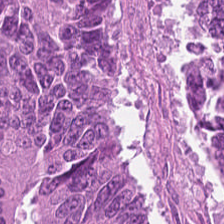Hematoxylin-and-eosin stained section. Brightfield. 224×224 px tile.
{"tissue_type": "tumor epithelium"}
